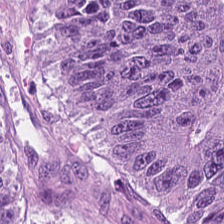224×224 px tile · hematoxylin-and-eosin stained section. {"tissue_type": "malignant epithelium"}
